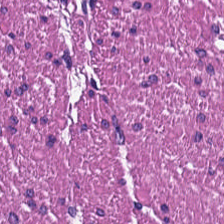Q: What is shown in this field?
A: It is smooth-muscle tissue.
